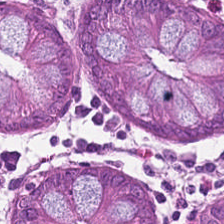H&E-stained tissue section — Q: What is shown here?
A: It is benign colonic mucosa.
